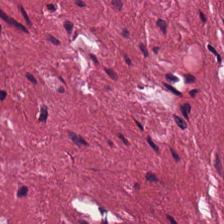H&E.
Predominantly desmoplastic stroma.
